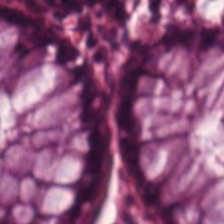Q: Identify the tissue.
A: This is non-neoplastic colon mucosa.
